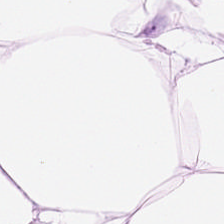H&E — adipose tissue.
